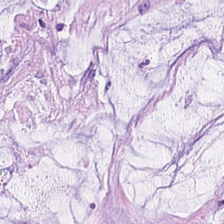Stain: H&E-stained tissue section.
Classification: mucus.
